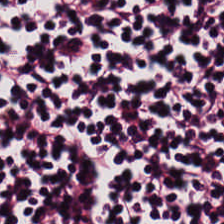Hematoxylin-and-eosin stained section — Tissue class: lymphocytic infiltrate.
